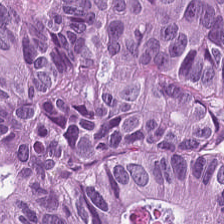0.5 microns per pixel. Hematoxylin-and-eosin stained section.
Colorectal adenocarcinoma epithelium.
